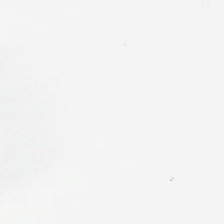Stain: H&E-stained tissue section.
Resolution: 0.5 µm per pixel.
Field content: no tissue.
